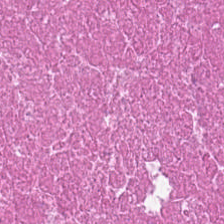Q: Identify the tissue.
A: The field shows debris.
